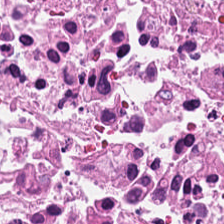20× equivalent magnification; H&E stain; whole-slide-image patch. Tissue = necrotic debris.
